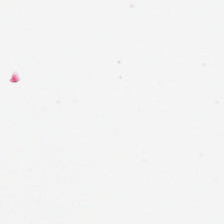Hematoxylin-and-eosin stained section.
Classification — no tissue.
